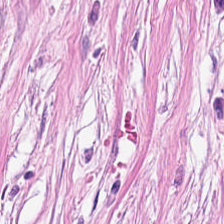Hematoxylin-and-eosin stained section.
The tissue class is tumor stroma.
